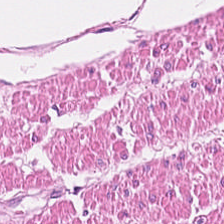Brightfield; H&E; FFPE. This patch shows smooth-muscle tissue.
